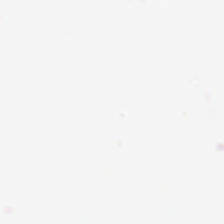Hematoxylin-and-eosin stained section; 0.5 µm/px.
Q: What is shown in this field?
A: This is background.
